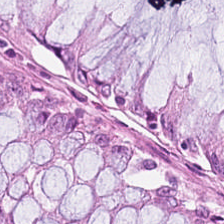Hematoxylin and eosin — Finding — normal colonic mucosa.
